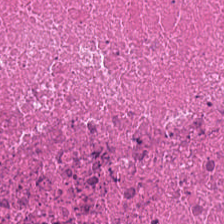Stain: H&E-stained tissue section.
Tissue type: cellular debris.
